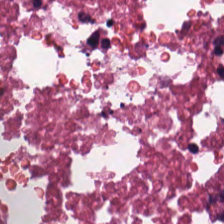H&E.
This patch shows cellular debris.
